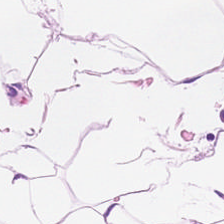Hematoxylin and eosin · brightfield microscopy. This patch shows adipocytes.
